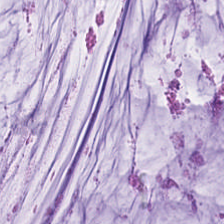Stain: H&E stain.
Resolution: 0.5 µm per pixel.
Preparation: formalin-fixed paraffin-embedded section.
Tissue type: extracellular mucin.
